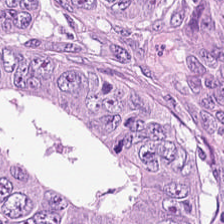Hematoxylin-and-eosin stained section; 224×224 pixel tile; FFPE. This field is colorectal adenocarcinoma.
